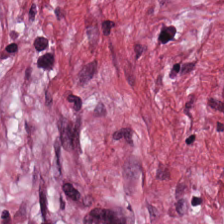Hematoxylin and eosin.
Q: Identify the tissue.
A: Cancer-associated stroma.
